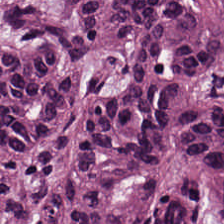224×224 px patch. H&E-stained tissue section.
Predominantly tumor epithelium.
